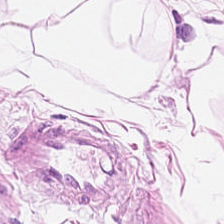FFPE · hematoxylin-and-eosin stained section.
Classification = fat tissue.
